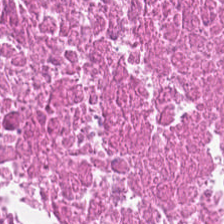FFPE. Hematoxylin-and-eosin stained section. This patch shows debris.
